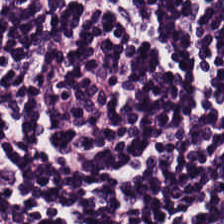Stain: H&E.
Resolution: 0.5 µm per pixel.
Classification: lymphocytic infiltrate.
